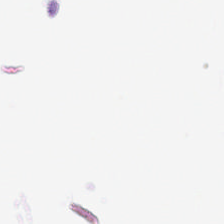20× equivalent magnification. H&E-stained tissue section.
No tissue present; background only.
